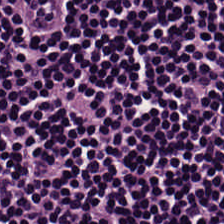0.5 µm/px. H&E stain. FFPE tissue section.
The predominant tissue is lymphocytes.
